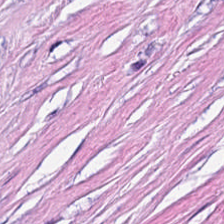H&E — Q: What type of tissue is this?
A: This is tumor-associated stroma.
